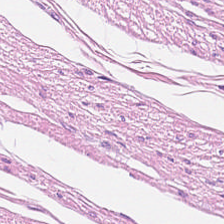224×224 px patch · H&E stain · 0.5 microns per pixel — Classification: smooth muscle.
